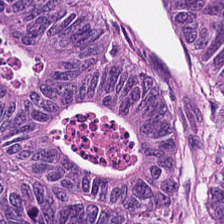Hematoxylin-and-eosin stained section — Predominant tissue = colorectal adenocarcinoma epithelium.
